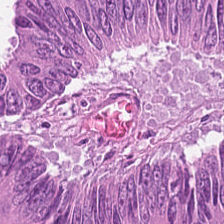Hematoxylin and eosin · 224×224 px patch · FFPE — Histology — malignant epithelium.
